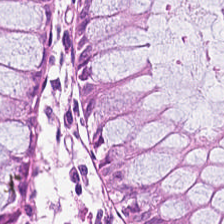Stain: H&E-stained tissue section.
Tissue class: benign colonic mucosa.
